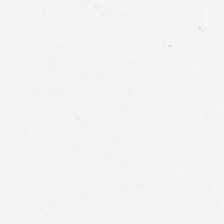H&E stain; brightfield microscopy; formalin-fixed paraffin-embedded section.
Background (no tissue).
